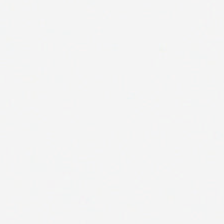Hematoxylin and eosin — Field content = empty background.
